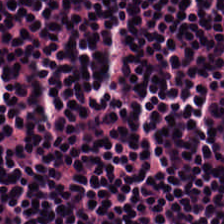H&E-stained section; the field shows lymphocyte aggregate.
